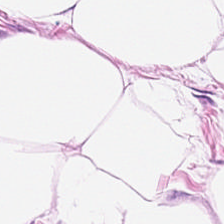H&E — This field is adipocytes.
